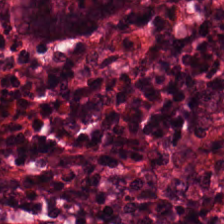H&E-stained tissue section.
Classification = benign colonic mucosa.
